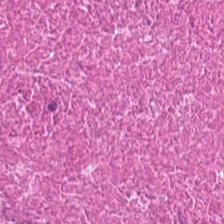Hematoxylin and eosin.
Tissue — necrotic debris.
